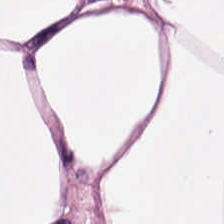H&E-stained tissue section — Q: What is shown in this field?
A: It is adipose tissue.
